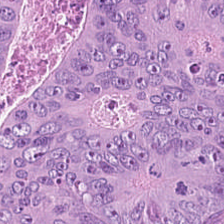H&E. 0.5 µm/px.
Q: What is the predominant tissue type?
A: This is malignant epithelium.
